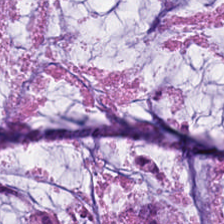Q: What is the predominant tissue type?
A: It is mucus.
